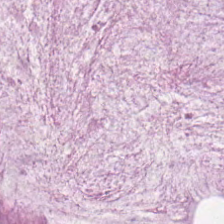Q: What is the predominant tissue type?
A: Mucin.
